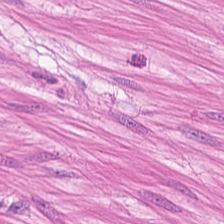H&E.
Q: What is shown in this field?
A: This is muscularis.
